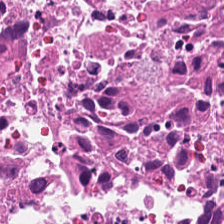H&E-stained tissue section.
Q: What is the predominant tissue type?
A: It is necrotic debris.
